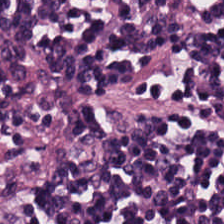H&E stain. Finding → lymphocytes.
